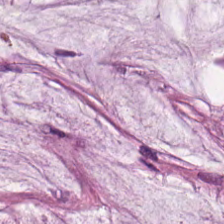Q: What does this patch show?
A: The field shows extracellular mucin.
